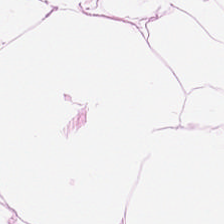Tissue = adipocytes.
